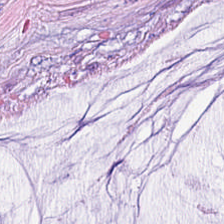FFPE tissue section. Hematoxylin and eosin. 0.5 µm per pixel. Showing mucus.
